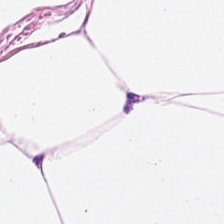224×224 px tile; hematoxylin-and-eosin stained section — {"tissue_type": "adipose tissue"}
